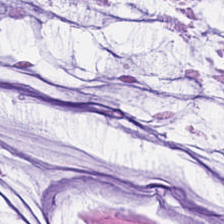Whole-slide-image patch. H&E-stained tissue section. This patch shows extracellular mucin.
